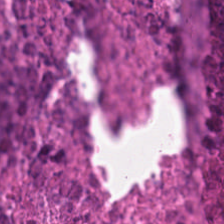Tissue type: necrotic debris.
